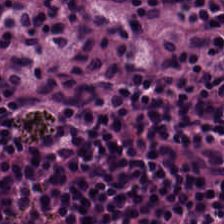Whole-slide-image patch. 224×224 px patch. H&E. Finding → lymphocytic infiltrate.
